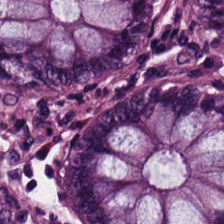H&E-stained tissue section. Q: What is shown here?
A: This is non-neoplastic colon mucosa.
